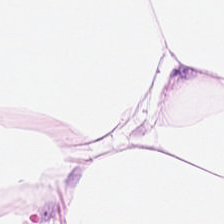H&E-stained tissue section — This field is fat tissue.
